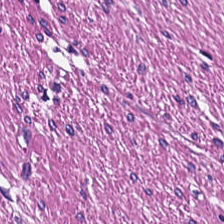H&E stain. Muscularis.
